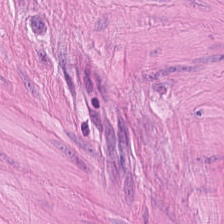H&E stain · 0.5 microns per pixel. Classification — muscularis.
